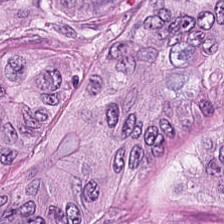Stain: H&E-stained tissue section.
Tissue: tumor epithelium.
